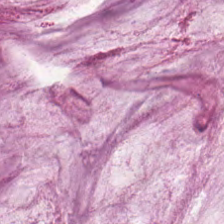H&E stain. 224×224 px tile. The tissue here is mucin.
